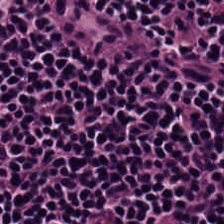Stain: hematoxylin and eosin.
Tile size: 224×224 px patch.
Tissue class: lymphocytic infiltrate.
